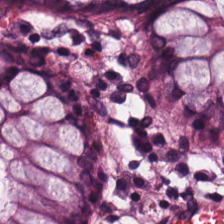H&E-stained tissue section showing non-neoplastic colon mucosa.
